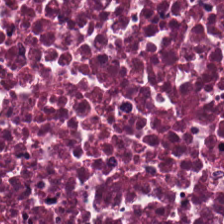Stain: hematoxylin-and-eosin stained section.
Classification: necrotic debris.
